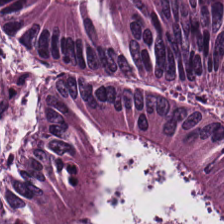Stain: hematoxylin-and-eosin stained section.
Predominant tissue: colorectal adenocarcinoma epithelium.
